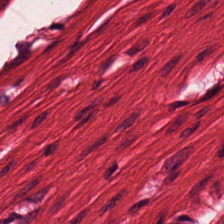Hematoxylin and eosin — Classification: smooth muscle.
